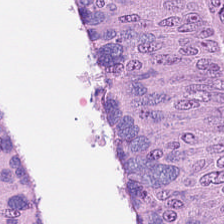Tissue class: malignant epithelium.
